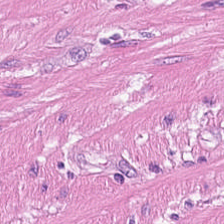H&E stain.
Impression — muscularis.
